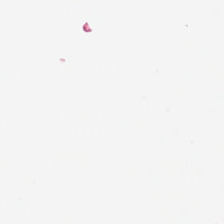Background — no tissue in this field.
